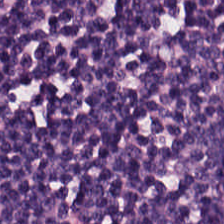H&E stain. The tissue here is lymphocytes.
